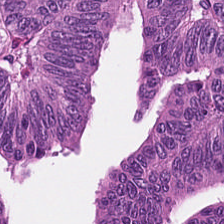Hematoxylin-and-eosin stained section. 20× equivalent magnification.
Q: What tissue is shown?
A: This is malignant epithelium.
